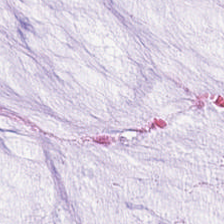Hematoxylin and eosin — Impression — mucin.
